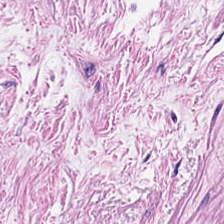Showing smooth-muscle tissue.
